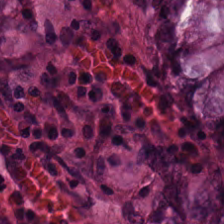Hematoxylin-and-eosin stained section · brightfield · 0.5 µm per pixel — Showing normal colonic mucosa.
